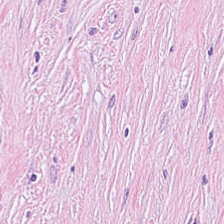Hematoxylin-and-eosin stained section.
Q: What type of tissue is this?
A: This is tumor stroma.
